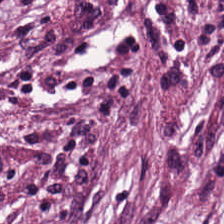H&E stain. This patch shows tumor-associated stroma.
